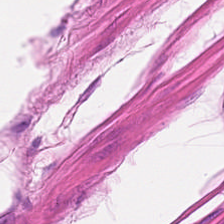H&E-stained tissue section. Whole-slide-image patch.
Q: What does this patch show?
A: The field shows smooth-muscle tissue.
